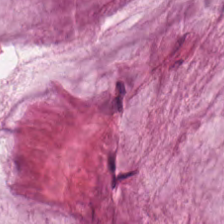This field is extracellular mucin.
